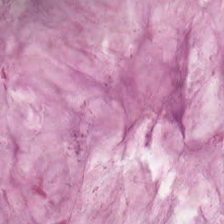Formalin-fixed paraffin-embedded section; H&E stain; 0.5 µm/px — The predominant tissue is mucus.
